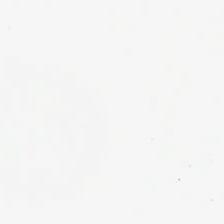Hematoxylin-and-eosin stained section. 224×224 px patch. 0.5 µm per pixel.
Histology → background (no tissue).
